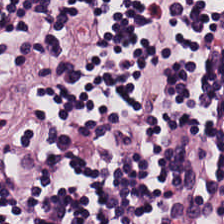Q: What is shown here?
A: It is lymphocyte aggregate.
